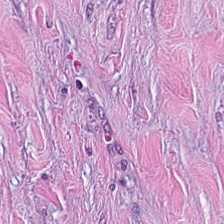0.5 µm/px. H&E — The tissue here is tumor stroma.
